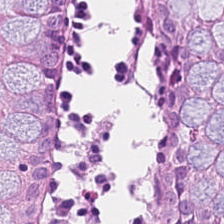H&E stain; 20× equivalent magnification. Impression → non-neoplastic colon mucosa.
